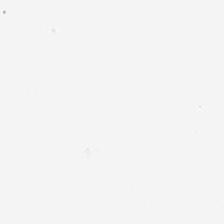H&E stain; 224×224 px tile; whole-slide-image patch. Background — no tissue in this field.
